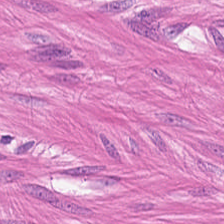224×224 pixel tile · hematoxylin and eosin · FFPE tissue section — This patch shows smooth muscle.
